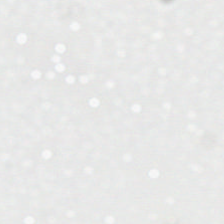H&E stain; 20× equivalent magnification. Finding → background (no tissue).
